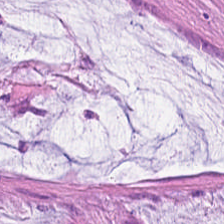Tissue class = extracellular mucin.
